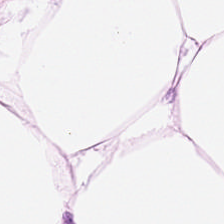Stain: hematoxylin-and-eosin stained section.
Tile size: 224×224 px patch.
Acquisition: WSI patch.
Tissue class: adipose tissue.
